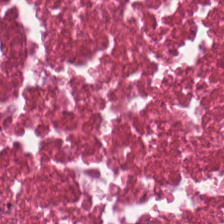H&E stain.
The tissue here is necrotic debris.
